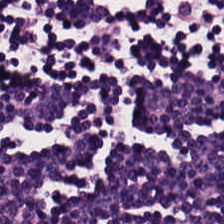Stain: H&E-stained tissue section.
Predominant tissue: lymphoid infiltrate.
